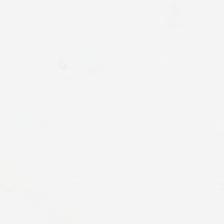H&E · 224×224 pixel tile.
Histology → no tissue.
